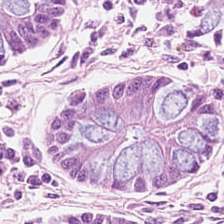224×224 pixel tile · H&E · brightfield. Histology → normal colonic mucosa.
